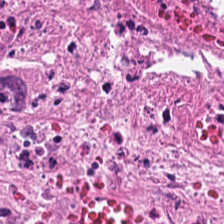H&E.
Finding — cellular debris.
